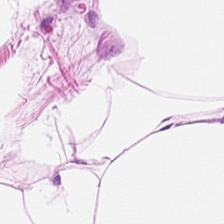Stain: H&E-stained tissue section.
Preparation: FFPE tissue section.
Predominant tissue: fat tissue.
